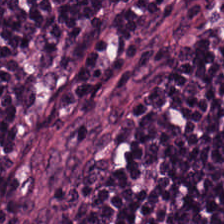This patch shows lymphoid infiltrate.
